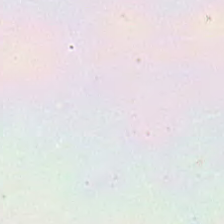Stain: H&E stain.
Acquisition: brightfield.
Field content: background.
